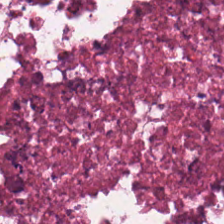Stain: hematoxylin-and-eosin stained section.
Tissue class: cellular debris.
